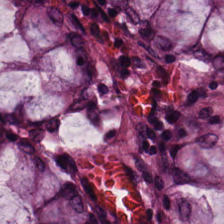Hematoxylin-and-eosin stained section; brightfield. Finding — benign colonic mucosa.
